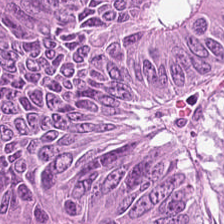Histology → colorectal adenocarcinoma.
